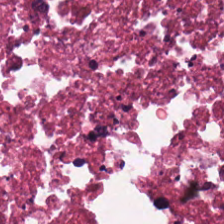H&E-stained tissue section — This patch shows debris.
